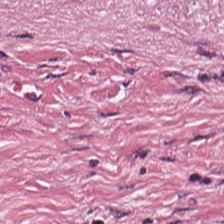Hematoxylin-and-eosin stained section — {"tissue_type": "desmoplastic stroma"}
